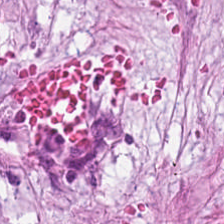H&E stain. Impression — tumor stroma.
